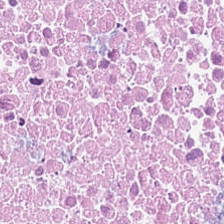Classification: debris.
